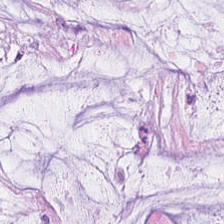Formalin-fixed paraffin-embedded section; 20× equivalent magnification; hematoxylin and eosin.
Mucus.
